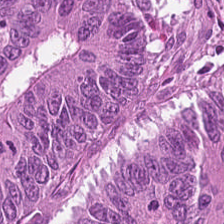H&E. Classification — malignant epithelium.
